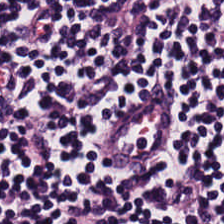Tissue type: lymphocytic infiltrate.
